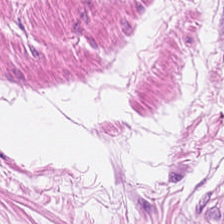Stain: hematoxylin-and-eosin stained section.
Resolution: 0.5 microns per pixel.
Tissue: smooth-muscle tissue.
